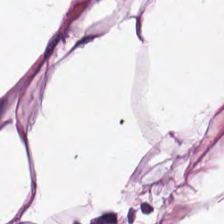Hematoxylin and eosin.
{"tissue_type": "adipose"}
